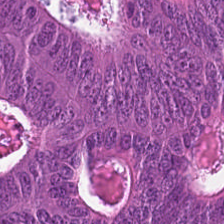H&E. 20× equivalent magnification.
The tissue here is adenocarcinoma.
